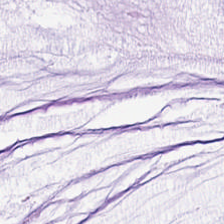0.5 microns per pixel. Hematoxylin-and-eosin stained section.
Finding — mucin.
